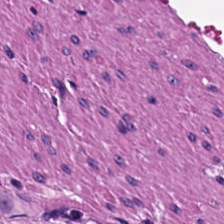H&E-stained tissue section.
Q: What tissue type is shown here?
A: Smooth muscle.
